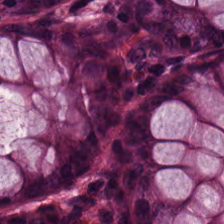Hematoxylin-and-eosin stained section — {"tissue_type": "normal colonic mucosa"}
